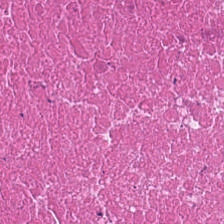H&E-stained section; the field shows cellular debris.
